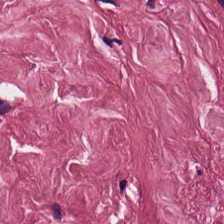The tissue class is tumor stroma.
